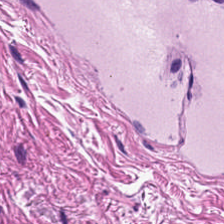0.5 microns per pixel. H&E stain.
Q: What type of tissue is this?
A: This is smooth-muscle tissue.
